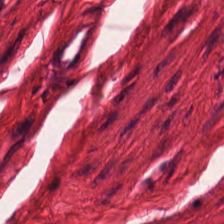H&E-stained section; the field shows smooth-muscle tissue.
